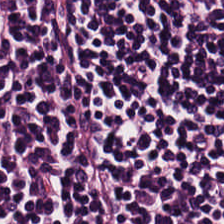H&E-stained tissue section — The predominant tissue is lymphocyte aggregate.
